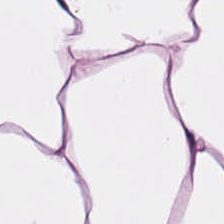Histology — adipose tissue.
